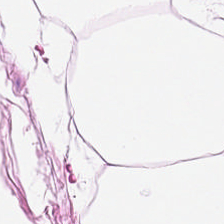Histology — fat tissue.
